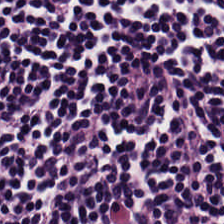224×224 px tile; H&E — Histology → lymphocytic infiltrate.
